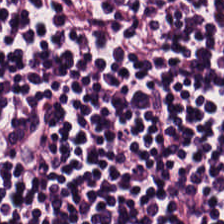H&E stain; FFPE tissue section.
This field is lymphocyte aggregate.
